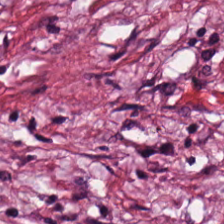Q: What tissue is shown?
A: Tumor-associated stroma.
